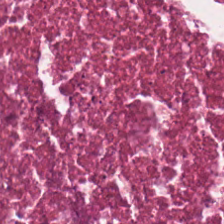Hematoxylin-and-eosin stained section — Q: What is the predominant tissue type?
A: This is necrotic debris.
